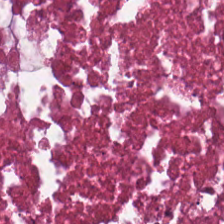Stain: H&E-stained tissue section.
Tissue type: debris.
